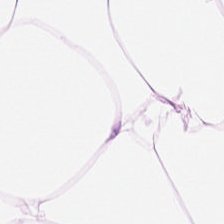0.5 µm per pixel; brightfield; H&E stain. Classification = adipose.
